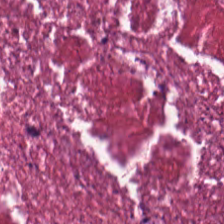Predominant tissue: necrotic debris.
